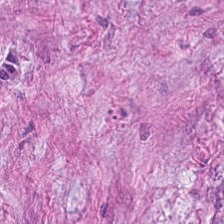H&E. FFPE tissue section. Showing cancer-associated stroma.
